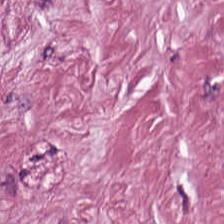Tissue type — cancer-associated stroma.
